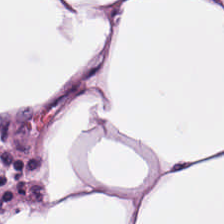Q: Classify this patch.
A: It is adipocytes.
